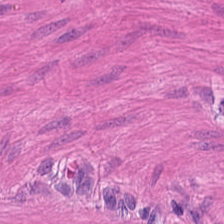Stain: H&E stain.
Preparation: FFPE tissue section.
Tile size: 224×224 px patch.
Tissue type: smooth muscle.
